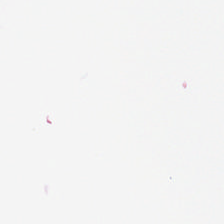Hematoxylin and eosin — No tissue present; background only.
